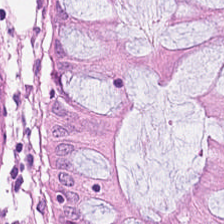Hematoxylin and eosin. 224×224 px patch.
Tissue — non-neoplastic colon mucosa.
